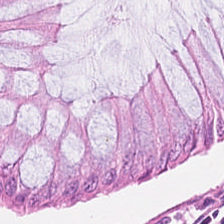Finding — normal colonic mucosa.
